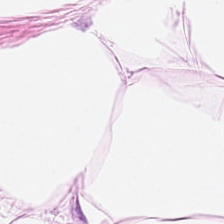224×224 px patch. H&E-stained tissue section — Tissue type: adipose tissue.
